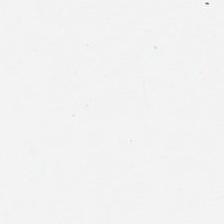Stain: hematoxylin and eosin.
Acquisition: whole-slide-image patch.
Tile size: 224×224 px patch.
Content: empty background.
